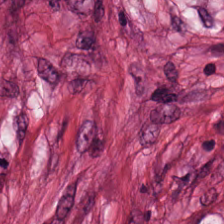Tissue class: tumor stroma.
